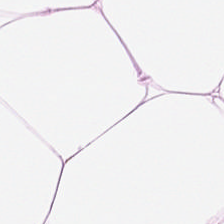Hematoxylin and eosin · FFPE. Predominantly adipose.
